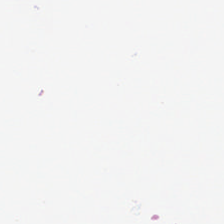H&E-stained tissue section · 0.5 µm per pixel · FFPE tissue section.
No tissue.
